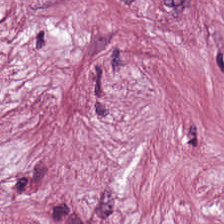H&E-stained tissue section. FFPE. Whole-slide-image patch. This field is cancer-associated stroma.
